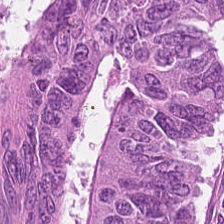H&E-stained tissue section — Tissue class — colorectal adenocarcinoma.
